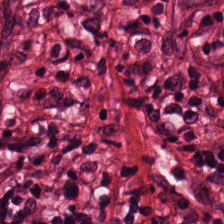Hematoxylin-and-eosin stained section — Q: What does this patch show?
A: It is tumor-associated stroma.
